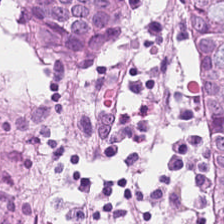H&E. 224×224 px tile — Q: What is shown in this field?
A: This is normal colon mucosa.
